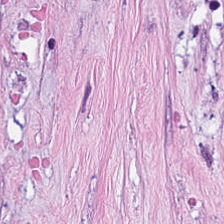Showing desmoplastic stroma.
